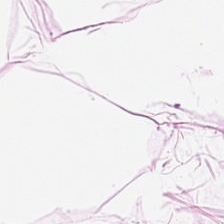The tissue is adipose tissue.
